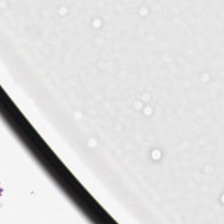Hematoxylin-and-eosin stained section — Classification — no tissue.
